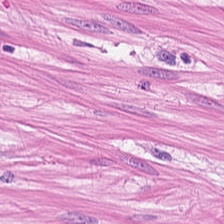Hematoxylin and eosin; brightfield microscopy — Predominant tissue — smooth muscle.
